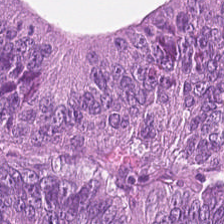H&E-stained tissue section.
Classification: colorectal adenocarcinoma.
